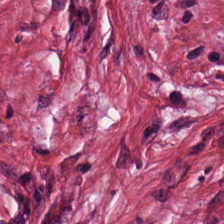Formalin-fixed paraffin-embedded section; H&E; 224×224 px tile.
Showing desmoplastic stroma.
